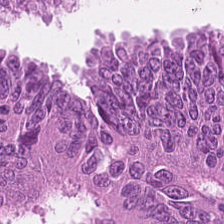Histology — colorectal adenocarcinoma epithelium.
